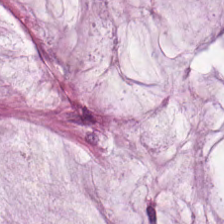Stain: H&E-stained tissue section.
Tissue class: extracellular mucin.
